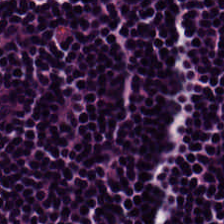Hematoxylin-and-eosin stained section. Predominantly lymphocytes.
